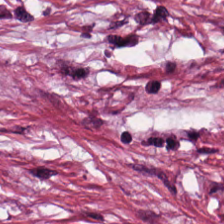H&E.
Q: What tissue type is shown here?
A: The field shows tumor-associated stroma.
